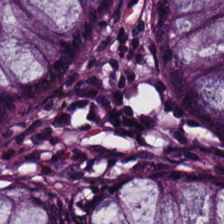H&E stain — Impression — normal colon mucosa.
